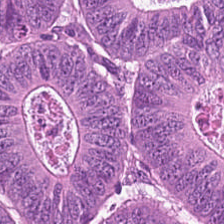H&E stain — The predominant tissue is adenocarcinoma.
